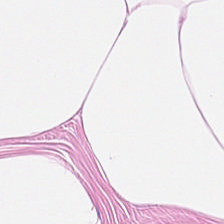224×224 px tile; H&E stain — Adipose tissue.
